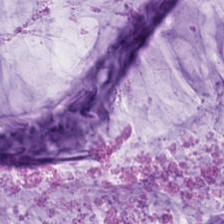H&E stain. The predominant tissue is mucin.
